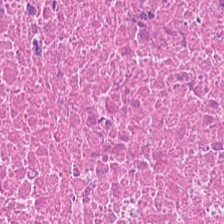Stain: hematoxylin and eosin.
Acquisition: brightfield.
Resolution: 20× equivalent magnification.
Tissue: cellular debris.
